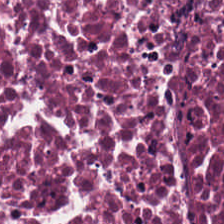Histology → debris.
